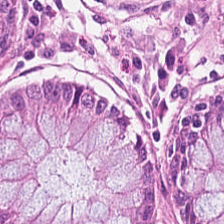H&E; 0.5 microns per pixel; WSI patch. Histology — non-neoplastic colon mucosa.
